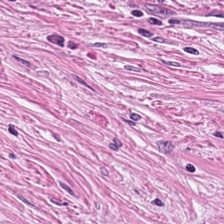Histology → desmoplastic stroma.
